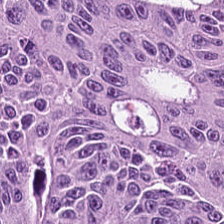Brightfield microscopy. H&E. 0.5 microns per pixel.
Q: Classify this patch.
A: This is tumor epithelium.
